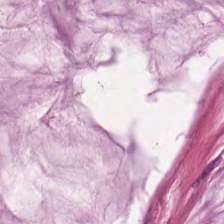H&E-stained tissue section. Showing mucin.
